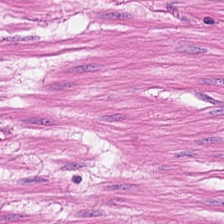Q: Classify this patch.
A: This is muscularis.
